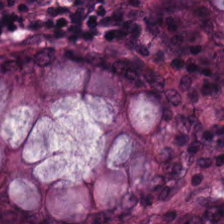Formalin-fixed paraffin-embedded section · H&E-stained tissue section.
Q: What is shown here?
A: Benign colonic mucosa.
